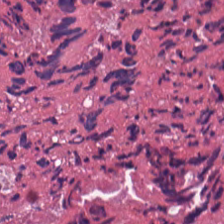H&E — {"tissue_type": "necrotic debris"}
